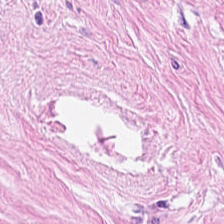Histology — cancer-associated stroma.
